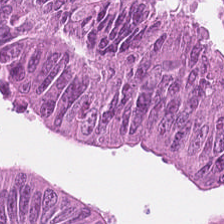H&E stain.
{"tissue_type": "tumor epithelium"}
